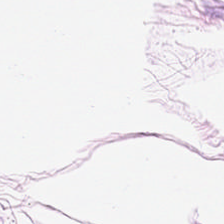H&E stain. Formalin-fixed paraffin-embedded section. Tissue = adipose.
